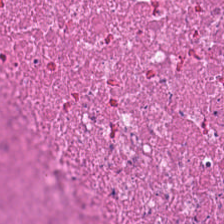224×224 px patch. H&E-stained tissue section. Brightfield. This field is cellular debris.
